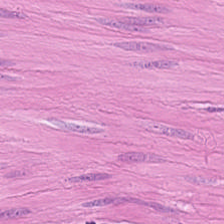Tissue class = smooth muscle.
